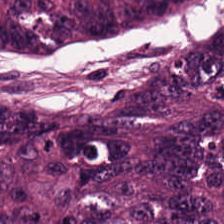20× equivalent magnification · hematoxylin-and-eosin stained section.
Predominant tissue: colorectal adenocarcinoma.
